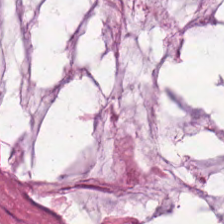H&E. This field is extracellular mucin.
